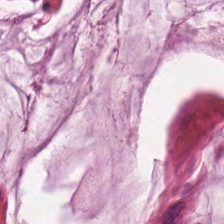Q: What tissue is shown?
A: Extracellular mucin.
